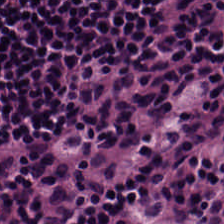H&E — Q: What tissue type is shown here?
A: This is lymphocytic infiltrate.
